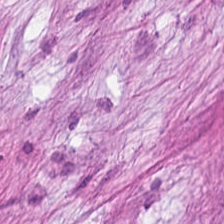Tissue type = desmoplastic stroma.
